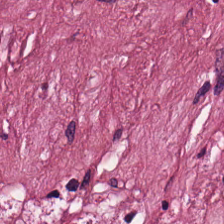Hematoxylin-and-eosin stained section · 224×224 px tile. This field is tumor-associated stroma.
